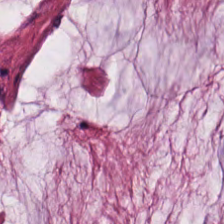Whole-slide-image patch · hematoxylin and eosin — Q: Classify this patch.
A: Extracellular mucin.
